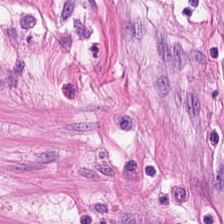Tissue type = smooth-muscle tissue.
